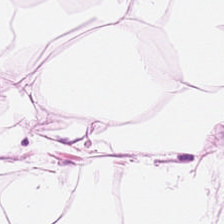Hematoxylin and eosin. Q: What is shown here?
A: This is adipose tissue.
